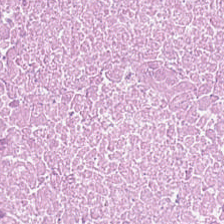Hematoxylin-and-eosin stained section; 20× equivalent magnification; 224×224 px patch — Q: What is the predominant tissue type?
A: It is necrotic debris.
